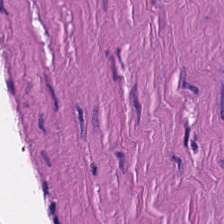Stain: H&E.
Tile size: 224×224 px tile.
Preparation: formalin-fixed paraffin-embedded section.
Tissue class: muscularis.
